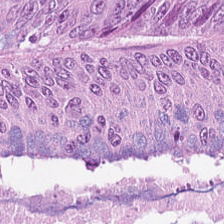Hematoxylin-and-eosin stained section. Histology — tumor epithelium.
